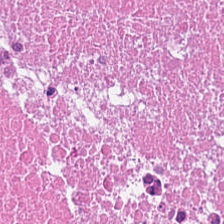Hematoxylin-and-eosin stained section — Histology → necrotic debris.
